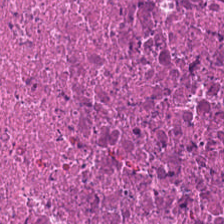20× equivalent magnification; brightfield; hematoxylin-and-eosin stained section — Finding — cellular debris.
